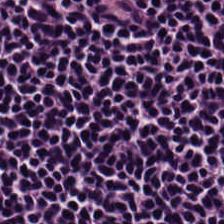H&E-stained tissue section. The tissue is lymphocytic infiltrate.
